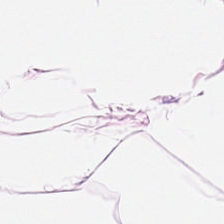Hematoxylin-and-eosin stained section.
Q: What is the predominant tissue type?
A: It is adipose tissue.
